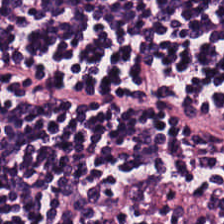224×224 px patch. Brightfield. H&E — Q: What is shown here?
A: Lymphocytic infiltrate.
